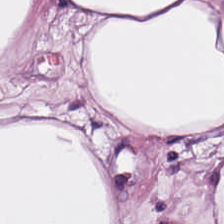Stain: H&E stain.
Tissue type: adipose tissue.
